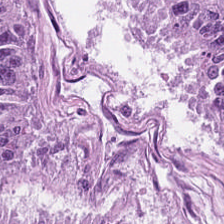H&E — This patch shows adenocarcinoma.
